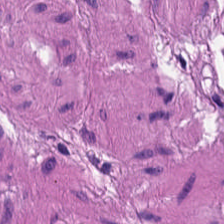FFPE; H&E stain. This field is smooth-muscle tissue.
